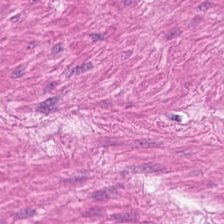Hematoxylin and eosin. Tissue type — muscularis.
